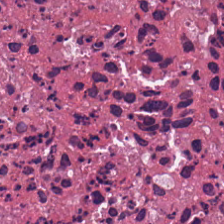224×224 px patch · hematoxylin and eosin. Finding → cellular debris.
